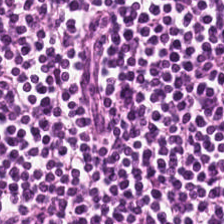WSI patch. Hematoxylin-and-eosin stained section. 224×224 pixel tile. This field is lymphocyte aggregate.
